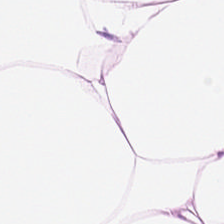H&E; 0.5 microns per pixel; FFPE tissue section — Showing adipocytes.
